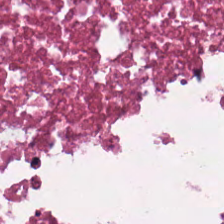This field is debris.
